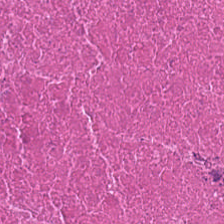0.5 µm/px; hematoxylin-and-eosin stained section. Necrotic debris.
